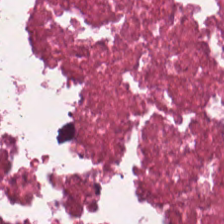H&E stain.
Tissue = cellular debris.
